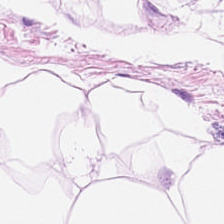H&E-stained tissue section · 224×224 px tile.
The classification is adipose.
